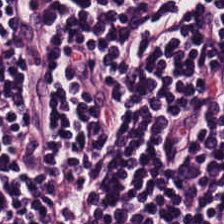The tissue here is lymphocyte aggregate.
